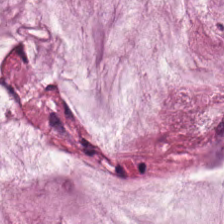H&E — mucus.
